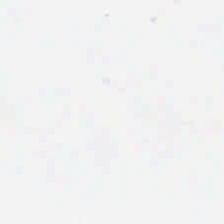This patch shows background.
